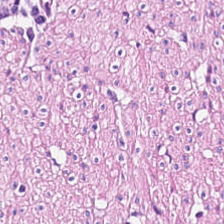H&E stain; brightfield microscopy. The predominant tissue is smooth muscle.
